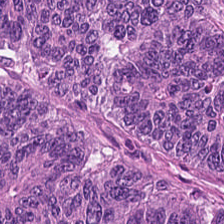Stain: H&E.
Predominant tissue: tumor epithelium.
